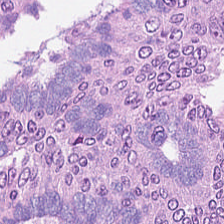H&E stain; 224×224 pixel tile — {"tissue_type": "colorectal adenocarcinoma epithelium"}
